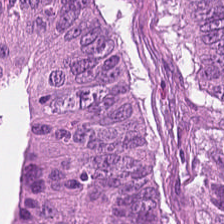Stain: hematoxylin-and-eosin stained section.
Classification: malignant epithelium.
